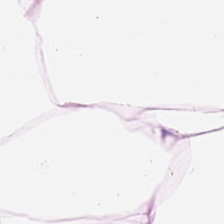Hematoxylin and eosin. Brightfield — Predominantly adipocytes.
